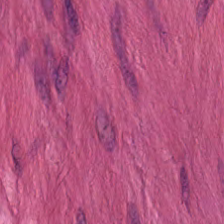H&E stain. Smooth-muscle tissue.
